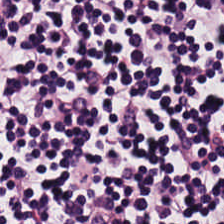0.5 µm per pixel · H&E-stained tissue section — Showing lymphocyte aggregate.
